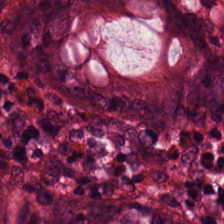Hematoxylin and eosin. FFPE — {"tissue_type": "normal colonic mucosa"}
